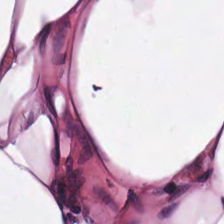The tissue type is adipocytes.
